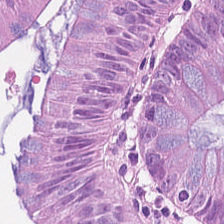Hematoxylin and eosin — {"tissue_type": "colorectal adenocarcinoma epithelium"}
